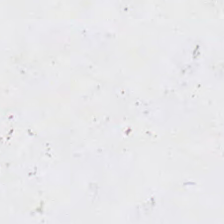Classification — background.
